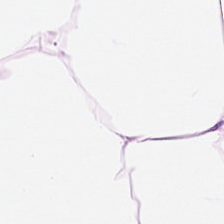This patch shows adipocytes.
